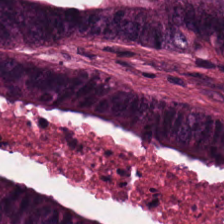224×224 px tile. FFPE tissue section. Hematoxylin and eosin — Impression — tumor epithelium.
